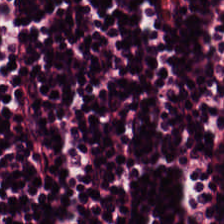H&E stain; 0.5 microns per pixel.
Lymphocytic infiltrate.
